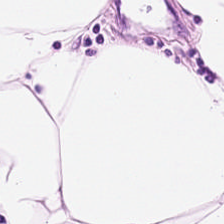224×224 pixel tile. H&E-stained tissue section — Classification = adipocytes.
